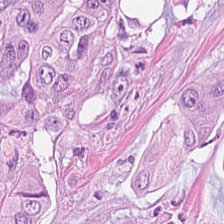H&E-stained tissue section.
Q: What does this patch show?
A: The field shows colorectal adenocarcinoma.
